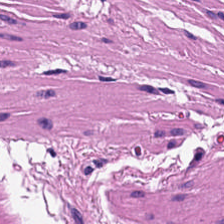Stain: hematoxylin-and-eosin stained section.
Tile size: 224×224 px tile.
Classification: smooth muscle.
